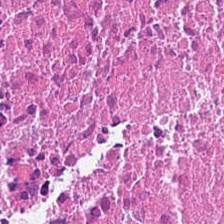H&E stain.
Necrotic debris.
